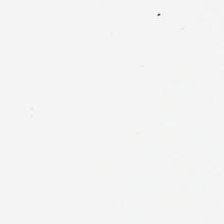H&E-stained tissue section.
This field is background (no tissue).
